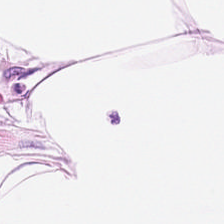H&E stain. The predominant tissue is adipose.
